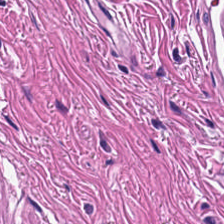H&E-stained tissue section; 224×224 px patch; FFPE.
Predominant tissue = smooth-muscle tissue.
